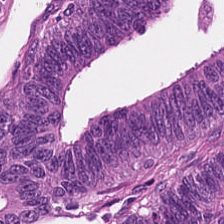224×224 pixel tile; hematoxylin and eosin. Histology → tumor epithelium.
